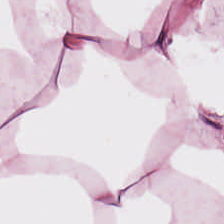H&E stain.
Impression — adipocytes.
